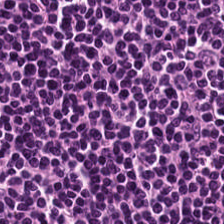Hematoxylin-and-eosin section: lymphocytes.
